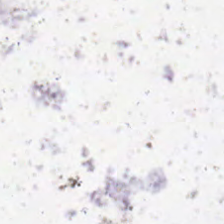Hematoxylin-and-eosin stained section. Histology → background.
